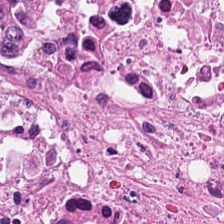H&E · 0.5 microns per pixel. Showing cellular debris.
